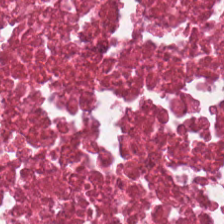Hematoxylin and eosin. The tissue class is necrotic debris.
